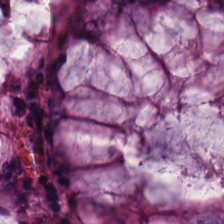Stain: H&E.
Classification: normal colonic mucosa.
